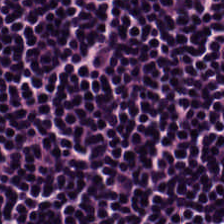Formalin-fixed paraffin-embedded section. H&E.
Impression — lymphoid infiltrate.
